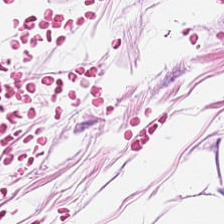FFPE; H&E-stained tissue section.
Q: What tissue type is shown here?
A: This is fat tissue.
